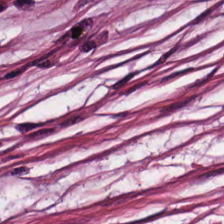0.5 µm/px · hematoxylin and eosin. Q: What is shown here?
A: This is cancer-associated stroma.
